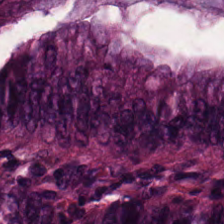Hematoxylin-and-eosin stained section — Tissue type: tumor epithelium.
